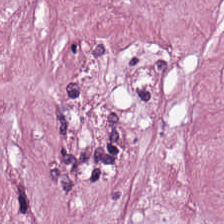FFPE · H&E-stained tissue section. Tumor stroma.
